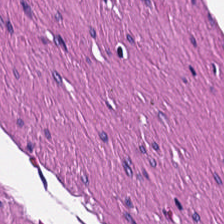Predominantly smooth-muscle tissue.
